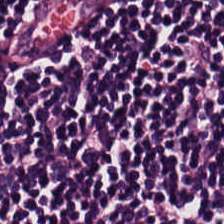H&E stain. This patch shows lymphoid infiltrate.
